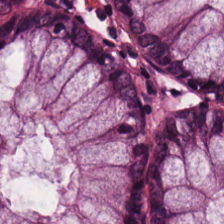Stain: H&E.
Tissue: normal colon mucosa.
